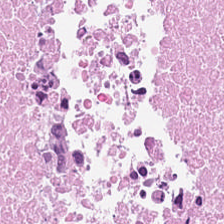Hematoxylin and eosin — Showing cellular debris.
